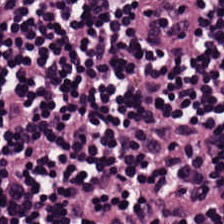0.5 microns per pixel · formalin-fixed paraffin-embedded section · H&E — This field is lymphocytic infiltrate.
